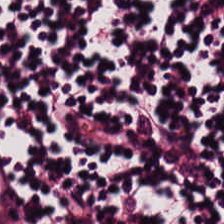FFPE tissue section; H&E stain — {"tissue_type": "lymphocyte aggregate"}
